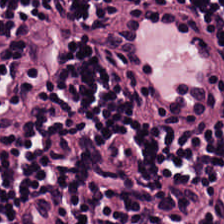The tissue type is lymphocytic infiltrate.
